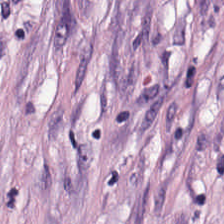Stain: hematoxylin-and-eosin stained section.
Classification: desmoplastic stroma.
